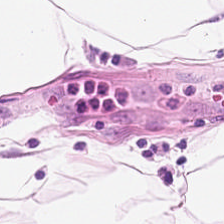H&E — adipose.
